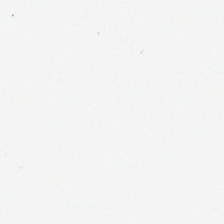Stain: H&E-stained tissue section.
Field content: empty background.
